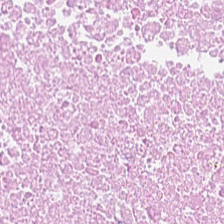Tissue — cellular debris.
